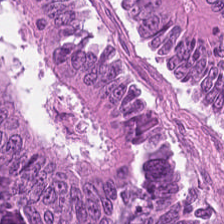Hematoxylin and eosin — Finding — malignant epithelium.
